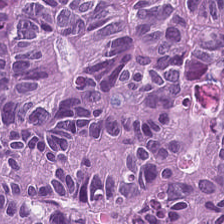H&E-stained tissue section. Brightfield.
Q: What is shown in this field?
A: It is malignant epithelium.
